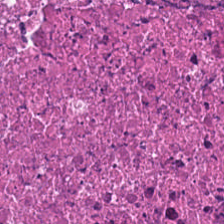224×224 pixel tile · H&E — Tissue: necrotic debris.
